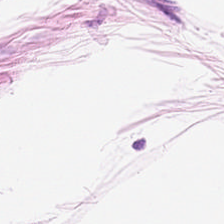FFPE tissue section · H&E-stained tissue section — Impression → adipose tissue.
